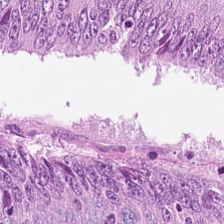H&E-stained tissue section; 0.5 µm per pixel.
Tissue class — adenocarcinoma.
